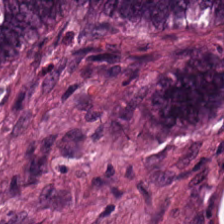Hematoxylin-and-eosin stained section.
The predominant tissue is adenocarcinoma.
